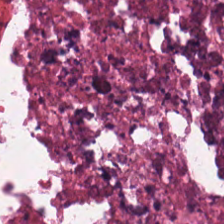FFPE tissue section · H&E-stained tissue section · 0.5 µm per pixel.
Q: Classify this patch.
A: This is cellular debris.
